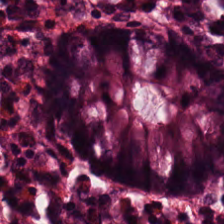H&E · 224×224 px patch — This field is normal colon mucosa.
